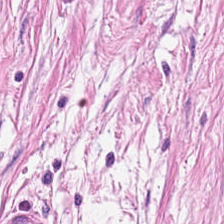Impression — cancer-associated stroma.
